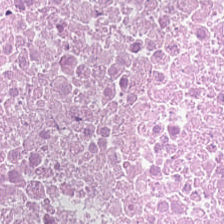H&E-stained tissue section — Tissue = cellular debris.
